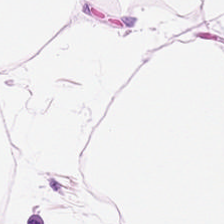H&E — adipocytes.
